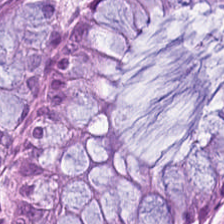H&E-stained tissue section showing normal colon mucosa.
